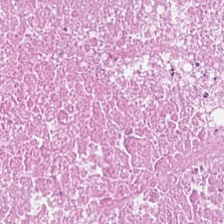FFPE tissue section. H&E. 0.5 microns per pixel — Classification — debris.
